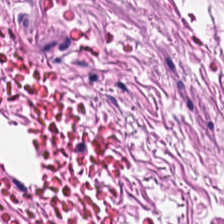FFPE. H&E.
Impression → smooth muscle.
